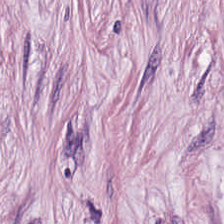Finding — cancer-associated stroma.
